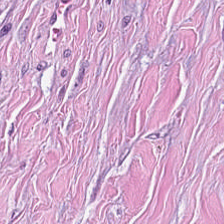H&E-stained tissue section showing desmoplastic stroma.
